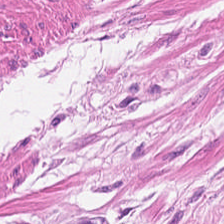Q: What tissue type is shown here?
A: Smooth-muscle tissue.
